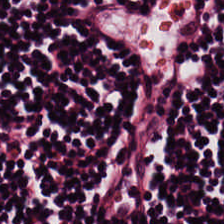Hematoxylin-and-eosin stained section.
Showing lymphocytic infiltrate.
